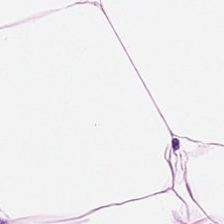Hematoxylin-and-eosin stained section. Tissue: adipocytes.
